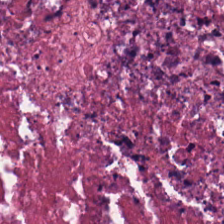224×224 px patch. Brightfield. Hematoxylin and eosin — The predominant tissue is cellular debris.
